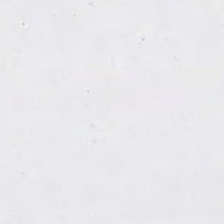224×224 pixel tile · H&E — Q: Classify this patch.
A: It is empty background.
